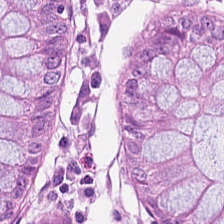Tissue type: benign colonic mucosa.
